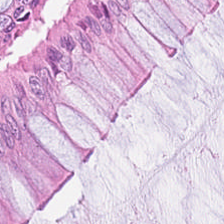Stain: H&E-stained tissue section.
Acquisition: WSI patch.
Preparation: FFPE.
Tissue class: normal colonic mucosa.
